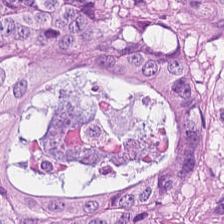H&E — tumor epithelium.
